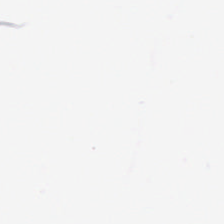H&E-stained tissue section. Field content: background (no tissue).
